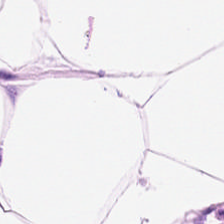WSI patch; H&E stain.
Finding — adipose tissue.
